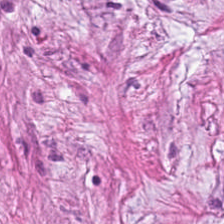H&E.
Tissue = desmoplastic stroma.
